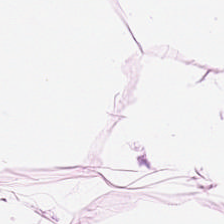H&E — Adipocytes.
